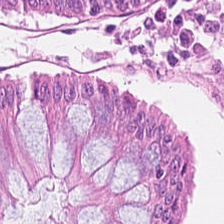Q: Identify the tissue.
A: This is benign colonic mucosa.
